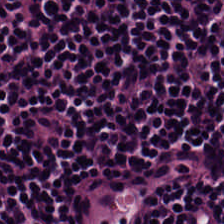Hematoxylin and eosin; 224×224 px patch.
Classification — lymphocyte aggregate.
